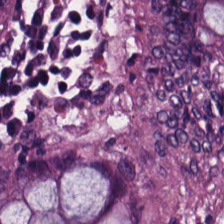Whole-slide-image patch · hematoxylin and eosin — Finding — normal colon mucosa.
